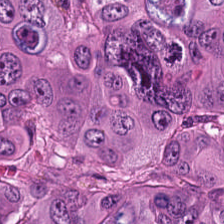Hematoxylin and eosin. This field is colorectal adenocarcinoma epithelium.
